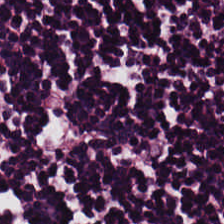Hematoxylin-and-eosin stained section · 224×224 px tile. Showing lymphocyte aggregate.
